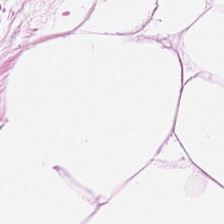H&E stain; 20× equivalent magnification — The tissue class is fat tissue.
